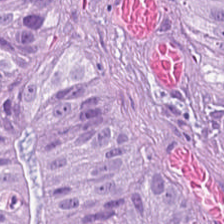H&E-stained tissue section; 224×224 px tile.
Predominantly adenocarcinoma.
